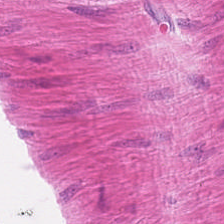Brightfield; hematoxylin and eosin.
The predominant tissue is smooth muscle.
